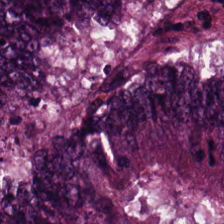Q: Classify this patch.
A: The field shows adenocarcinoma.
